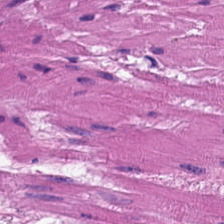224×224 pixel tile. Hematoxylin-and-eosin stained section — Finding → smooth-muscle tissue.
